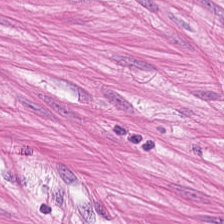224×224 px patch · WSI patch · H&E. Finding → smooth muscle.
